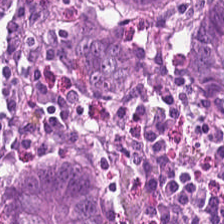Hematoxylin and eosin; whole-slide-image patch — Showing normal colon mucosa.
